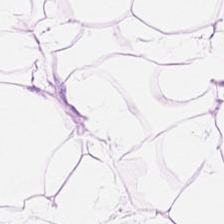H&E-stained tissue section · WSI patch. Q: What is the predominant tissue type?
A: The field shows adipocytes.
